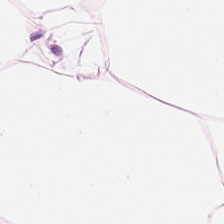The tissue type is adipocytes.
